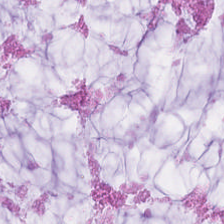Classification = extracellular mucin.
